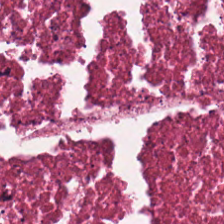Brightfield; hematoxylin and eosin — Finding → necrotic debris.
